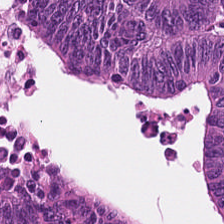FFPE tissue section; H&E-stained tissue section.
Q: What does this patch show?
A: It is colorectal adenocarcinoma epithelium.
